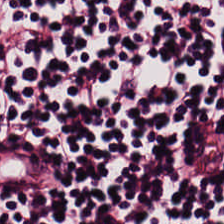H&E-stained tissue section.
{"tissue_type": "lymphocyte aggregate"}
